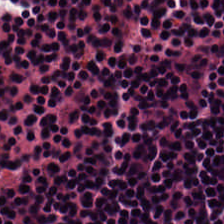H&E stain — This field is lymphocyte aggregate.
